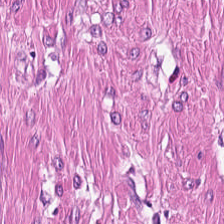Q: What is the predominant tissue type?
A: It is smooth-muscle tissue.
